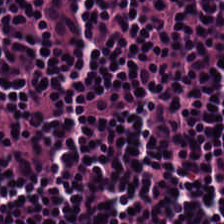Stain: hematoxylin and eosin.
Preparation: formalin-fixed paraffin-embedded section.
Tissue: lymphocyte aggregate.
